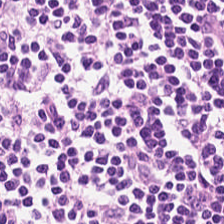Hematoxylin and eosin; FFPE tissue section. Predominant tissue: lymphocytes.
